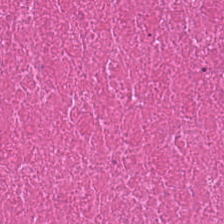Hematoxylin and eosin. The tissue type is debris.
